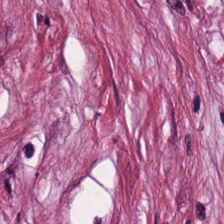{"tissue_type": "desmoplastic stroma"}
